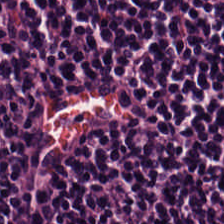H&E stain — Classification: lymphoid infiltrate.
